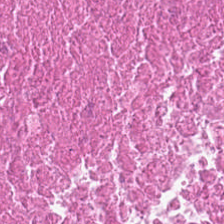H&E-stained tissue section.
Q: Classify this patch.
A: Cellular debris.
